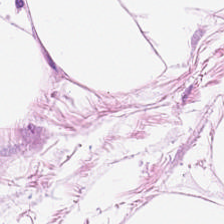H&E-stained tissue section. FFPE tissue section. Predominant tissue: fat tissue.
